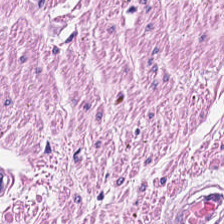20× equivalent magnification; H&E stain; 224×224 px tile — Classification = muscularis.
